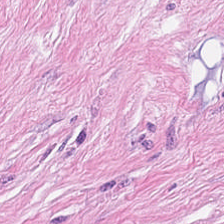0.5 microns per pixel; H&E stain — Histology — tumor-associated stroma.
